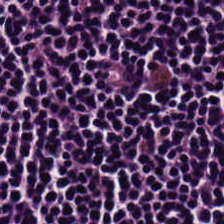This patch shows lymphocytic infiltrate.
